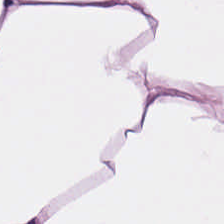224×224 px tile. Brightfield microscopy. H&E-stained tissue section — Tissue class = adipose tissue.
